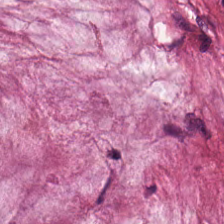Hematoxylin and eosin. 20× equivalent magnification. {"tissue_type": "mucus"}
